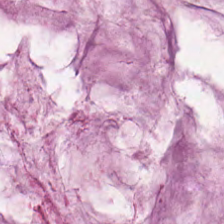Q: What type of tissue is this?
A: This is extracellular mucin.
